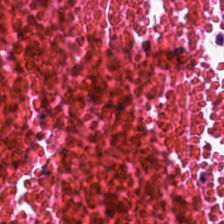Hematoxylin-and-eosin stained section. Histology → necrotic debris.
